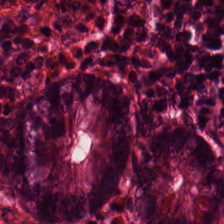H&E-stained tissue section. The tissue here is benign colonic mucosa.
